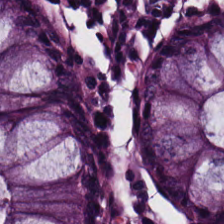H&E-stained tissue section.
Tissue type: normal colon mucosa.
